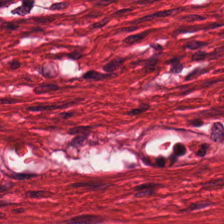H&E stain.
Predominantly muscularis.
